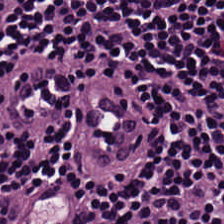Hematoxylin-and-eosin stained section · 224×224 px patch · FFPE — The tissue here is lymphocytic infiltrate.
